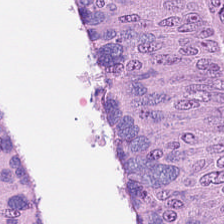H&E; whole-slide-image patch; 224×224 px patch. Q: What is shown here?
A: This is colorectal adenocarcinoma.
